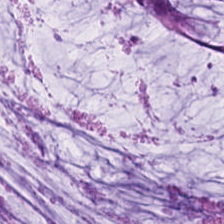Brightfield · H&E-stained tissue section. Finding → extracellular mucin.
